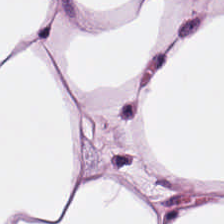224×224 pixel tile · FFPE · H&E-stained tissue section — This field is adipose.
